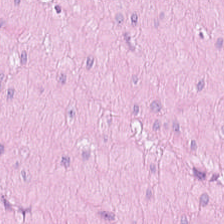Brightfield; H&E — This field is muscularis.
